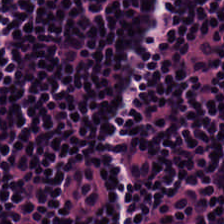H&E — Histology — lymphocytes.
